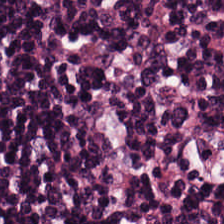Q: What is the predominant tissue type?
A: This is lymphoid infiltrate.
